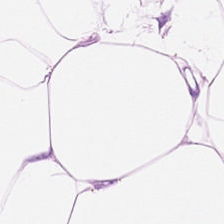H&E stain.
The classification is adipocytes.
